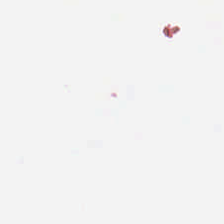Impression → no tissue.
